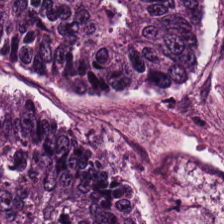WSI patch · hematoxylin-and-eosin stained section — This patch shows colorectal adenocarcinoma.
